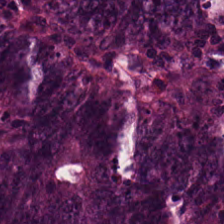Hematoxylin-and-eosin stained section · 224×224 px tile. Q: Classify this patch.
A: Tumor epithelium.
